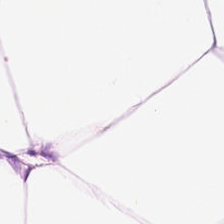FFPE tissue section. H&E. Tissue class = fat tissue.
